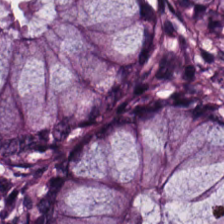H&E-stained tissue section · 0.5 microns per pixel — Showing normal colon mucosa.
